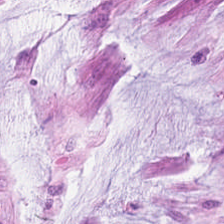Hematoxylin and eosin · WSI patch · 224×224 px tile.
This patch shows extracellular mucin.
